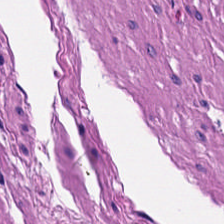H&E-stained tissue section — Q: What is the predominant tissue type?
A: The field shows smooth muscle.
